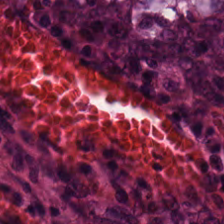H&E stain. Histology — normal colon mucosa.
